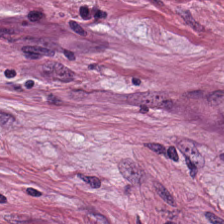Stain: hematoxylin and eosin.
Tissue type: cancer-associated stroma.
